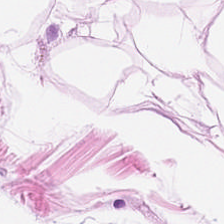0.5 microns per pixel. H&E stain — Showing fat tissue.
